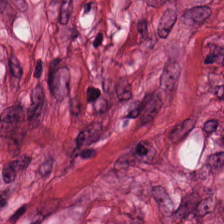H&E stain. Histology — tumor stroma.
